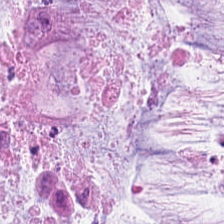224×224 px patch · hematoxylin and eosin · 0.5 microns per pixel — This field is mucus.
